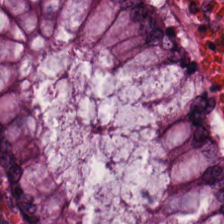224×224 px patch. H&E stain — The tissue here is non-neoplastic colon mucosa.
